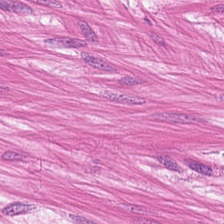H&E patch showing smooth-muscle tissue.
